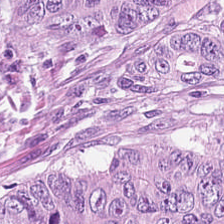Hematoxylin-and-eosin stained section. The tissue is colorectal adenocarcinoma epithelium.
